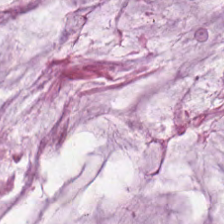Hematoxylin and eosin — Mucus.
